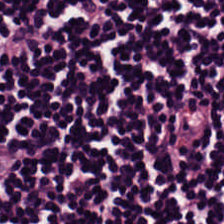H&E. Tissue type: lymphocytes.
